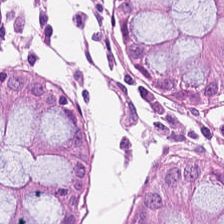Stain: H&E.
Classification: non-neoplastic colon mucosa.
